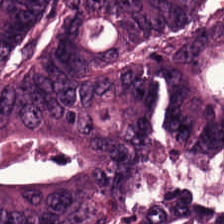This patch shows tumor epithelium.
